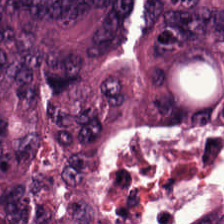H&E stain. The tissue here is adenocarcinoma.
